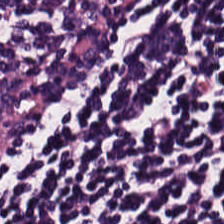Hematoxylin-and-eosin section: lymphocytic infiltrate.
